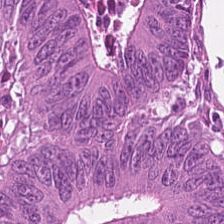Hematoxylin-and-eosin stained section · FFPE tissue section.
Showing malignant epithelium.
